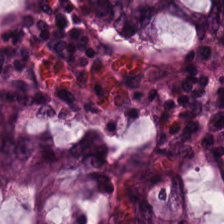20× equivalent magnification · FFPE · H&E-stained tissue section.
Q: What is the predominant tissue type?
A: The field shows normal colonic mucosa.
